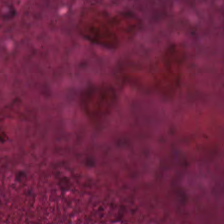224×224 pixel tile; H&E-stained tissue section.
The predominant tissue is necrotic debris.
